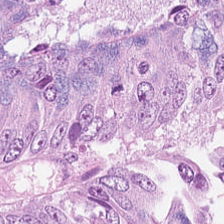Brightfield; H&E — This patch shows adenocarcinoma.
